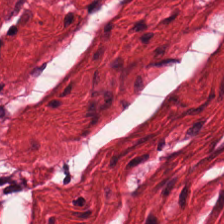H&E. 224×224 px tile. 0.5 µm per pixel. The predominant tissue is smooth muscle.
